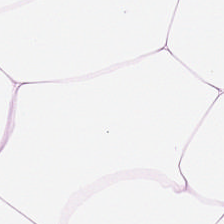H&E stain — This field is adipose tissue.
